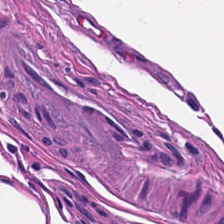H&E; 0.5 µm per pixel; 224×224 pixel tile — Q: What does this patch show?
A: It is smooth muscle.
